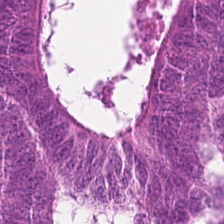0.5 microns per pixel; H&E-stained tissue section; FFPE tissue section. Showing colorectal adenocarcinoma epithelium.
